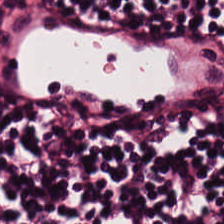{"tissue_type": "lymphocytic infiltrate"}
